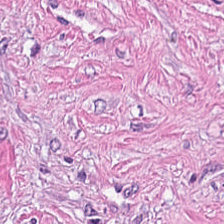H&E-stained tissue section · 0.5 µm/px. Desmoplastic stroma.
